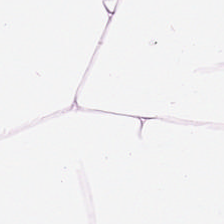Brightfield. FFPE tissue section. H&E stain — Q: What is the predominant tissue type?
A: This is adipocytes.
